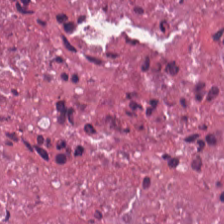Stain: hematoxylin-and-eosin stained section.
Preparation: FFPE.
Tissue: cellular debris.
